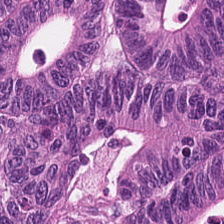H&E stain.
Q: Classify this patch.
A: The field shows malignant epithelium.
